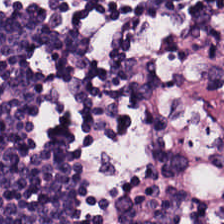Showing lymphocytes.
